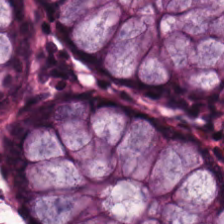Q: What is shown in this field?
A: It is normal colon mucosa.
